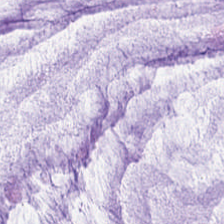FFPE tissue section. 224×224 px patch. Hematoxylin-and-eosin stained section — Showing mucin.
